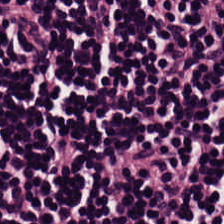224×224 px tile; formalin-fixed paraffin-embedded section; H&E stain. {"tissue_type": "lymphocyte aggregate"}
